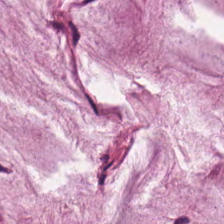The predominant tissue is mucus.
